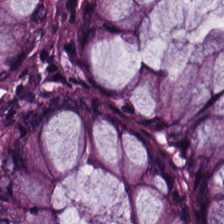Hematoxylin-and-eosin stained section.
The tissue here is non-neoplastic colon mucosa.
